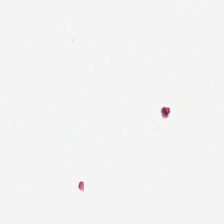Hematoxylin-and-eosin stained section.
Classification: no tissue.
